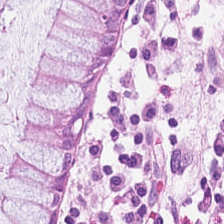Stain: H&E-stained tissue section.
Classification: normal colon mucosa.
